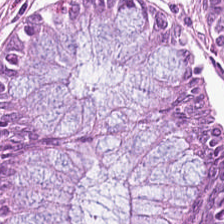H&E-stained tissue section. 0.5 µm per pixel. WSI patch.
Benign colonic mucosa.
